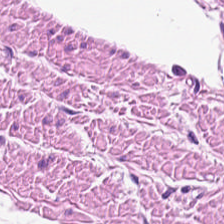20× equivalent magnification. FFPE tissue section. H&E.
Smooth muscle.
